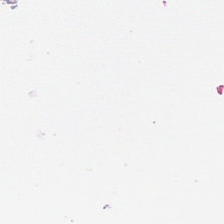This field is background (no tissue).
